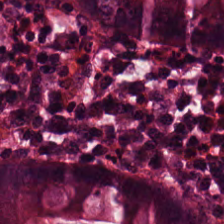FFPE · H&E. Non-neoplastic colon mucosa.
